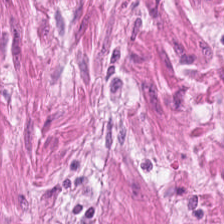H&E. 224×224 px tile — Smooth muscle.
